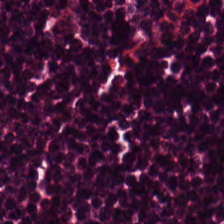FFPE tissue section · hematoxylin-and-eosin stained section. This field is lymphocytic infiltrate.
